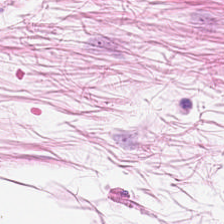Hematoxylin-and-eosin section: fat tissue.
